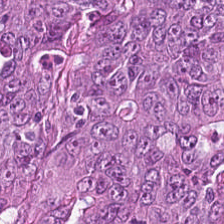Predominantly colorectal adenocarcinoma.
